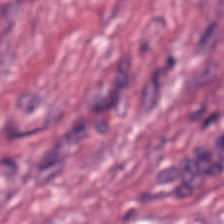Classification = tumor-associated stroma.
